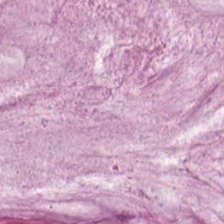Hematoxylin and eosin; 0.5 µm/px; FFPE tissue section. Predominantly extracellular mucin.
